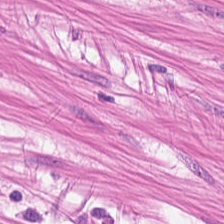H&E-stained tissue section — Smooth-muscle tissue.
